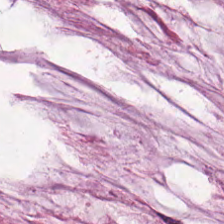H&E-stained tissue section. 0.5 microns per pixel. Whole-slide-image patch. Predominant tissue: extracellular mucin.
